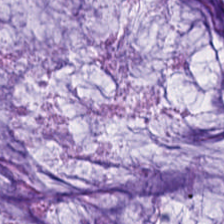H&E. Q: What tissue is shown?
A: This is extracellular mucin.
